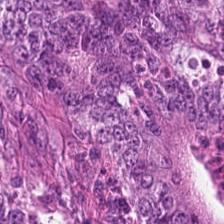Formalin-fixed paraffin-embedded section; hematoxylin and eosin.
The tissue here is adenocarcinoma.
